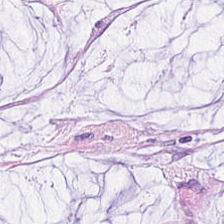Hematoxylin and eosin. The tissue here is mucus.
